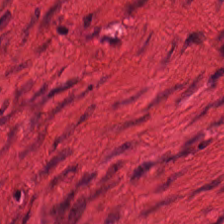Stain: hematoxylin-and-eosin stained section.
Classification: smooth-muscle tissue.
